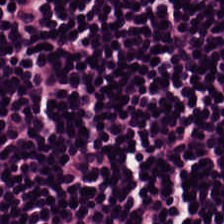Q: Classify this patch.
A: The field shows lymphocytes.
